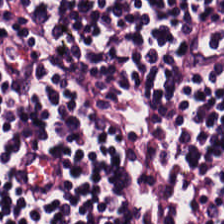H&E-stained tissue section · FFPE tissue section. Q: What type of tissue is this?
A: The field shows lymphocytes.
